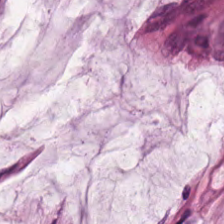H&E-stained tissue section — Mucus.
